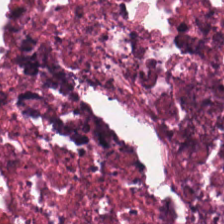H&E-stained tissue section — {"tissue_type": "cellular debris"}
